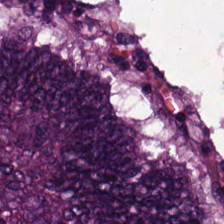Q: Classify this patch.
A: Malignant epithelium.
